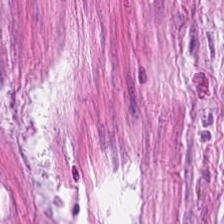WSI patch; formalin-fixed paraffin-embedded section; H&E — Tissue class = smooth muscle.
